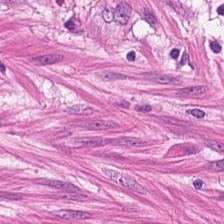Tissue = smooth-muscle tissue.
